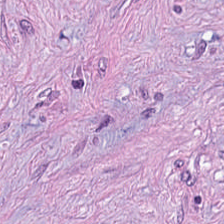H&E-stained tissue section.
Q: What tissue is shown?
A: It is tumor-associated stroma.
